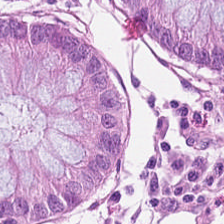H&E stain. Q: What tissue type is shown here?
A: The field shows normal colonic mucosa.
